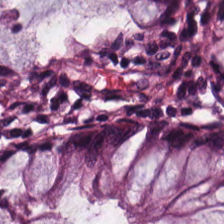H&E stain — Non-neoplastic colon mucosa.
